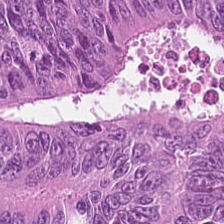Q: What type of tissue is this?
A: It is tumor epithelium.
